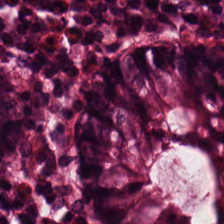H&E — Tissue — non-neoplastic colon mucosa.
